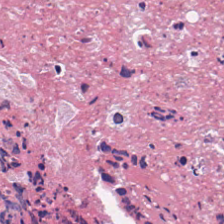Classification — debris.
